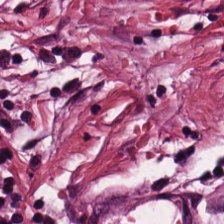H&E stain — Cancer-associated stroma.
